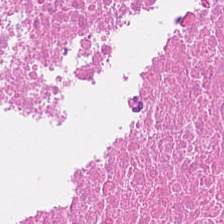H&E-stained tissue section showing necrotic debris.
